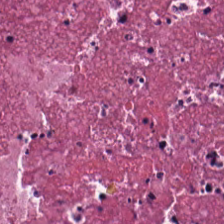This field is necrotic debris.
